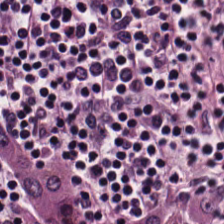Hematoxylin and eosin. Impression → lymphoid infiltrate.
